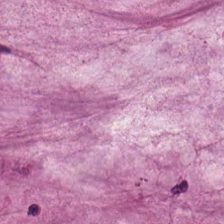0.5 microns per pixel · H&E — Predominantly mucin.
